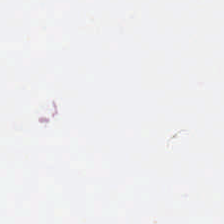FFPE tissue section. Hematoxylin-and-eosin stained section.
Q: What is shown here?
A: This is background (no tissue).
